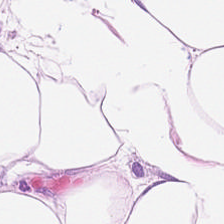H&E. FFPE. 0.5 microns per pixel.
Predominantly adipose tissue.
